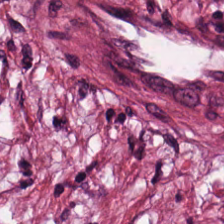Stain: hematoxylin and eosin.
Classification: desmoplastic stroma.
